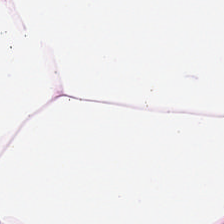FFPE tissue section; H&E-stained tissue section; whole-slide-image patch — The classification is adipose tissue.
